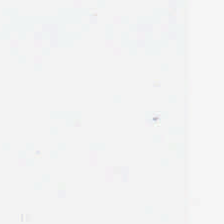Stain: H&E.
Tile size: 224×224 px tile.
Field content: no tissue.
